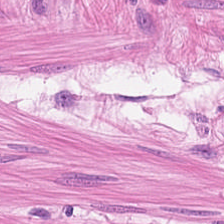H&E-stained tissue section. 0.5 microns per pixel.
Q: What is shown here?
A: It is smooth muscle.
